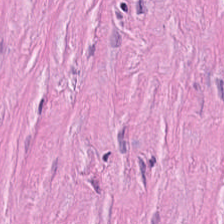Tumor stroma.
